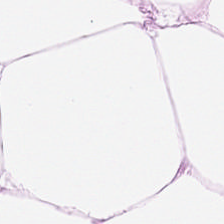H&E stain · FFPE tissue section · 224×224 px tile — The tissue is adipose tissue.
